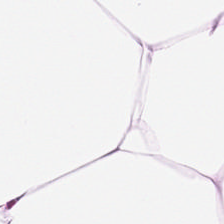H&E. Formalin-fixed paraffin-embedded section — Q: What tissue is shown?
A: This is adipose tissue.
